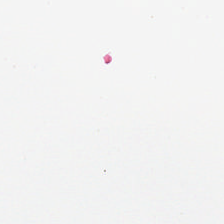H&E-stained tissue section. Q: Classify this patch.
A: Background.
